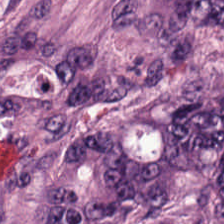0.5 µm per pixel · hematoxylin-and-eosin stained section. Showing malignant epithelium.
